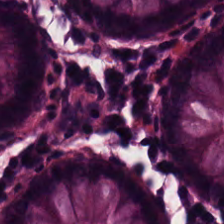Hematoxylin-and-eosin stained section · FFPE. Predominantly benign colonic mucosa.
